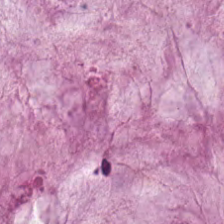H&E.
The predominant tissue is mucin.
